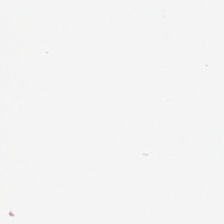H&E.
This field is background (no tissue).
